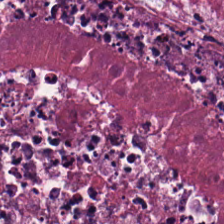Stain: H&E.
Classification: debris.
